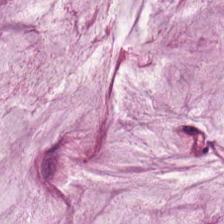Hematoxylin and eosin — Showing mucus.
